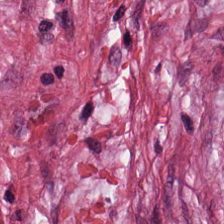FFPE. Hematoxylin and eosin. 20× equivalent magnification.
This patch shows cancer-associated stroma.
